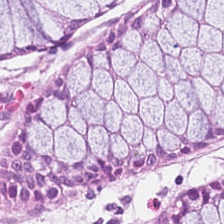Hematoxylin-and-eosin section: normal colon mucosa.
